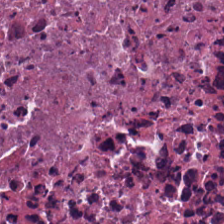Stain: H&E-stained tissue section.
Tile size: 224×224 pixel tile.
Tissue type: necrotic debris.
